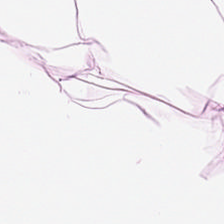H&E stain · 224×224 px tile.
Tissue type: fat tissue.
